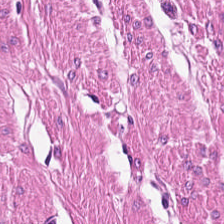H&E-stained tissue section.
Q: Identify the tissue.
A: This is muscularis.
